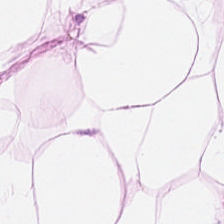The classification is adipocytes.
